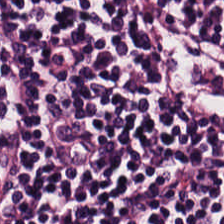H&E stain. 20× equivalent magnification. Brightfield microscopy.
This field is lymphocyte aggregate.
